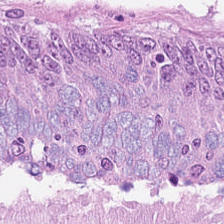224×224 px tile. H&E-stained tissue section. FFPE tissue section. Finding — colorectal adenocarcinoma.
